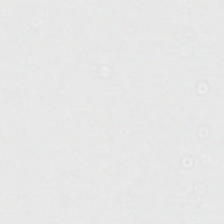Histology → no tissue.
